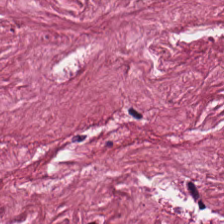Impression — cancer-associated stroma.
